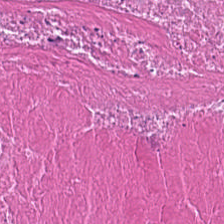H&E · 0.5 µm/px · 224×224 pixel tile.
Showing necrotic debris.
